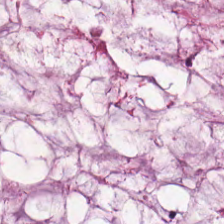Hematoxylin-and-eosin stained section. Tissue type = mucin.
